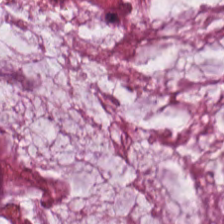H&E — Showing extracellular mucin.
